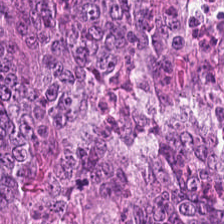Stain: H&E.
Acquisition: brightfield microscopy.
Tissue type: tumor epithelium.
